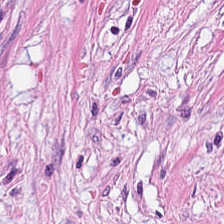Stain: H&E.
Tissue: desmoplastic stroma.
